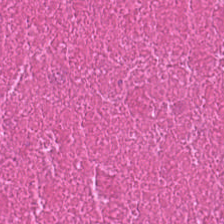0.5 microns per pixel · H&E-stained tissue section. Q: What type of tissue is this?
A: It is cellular debris.
